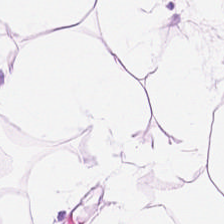224×224 px patch; H&E stain.
Impression — adipose tissue.
